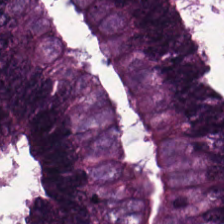Hematoxylin and eosin — Showing colorectal adenocarcinoma epithelium.
